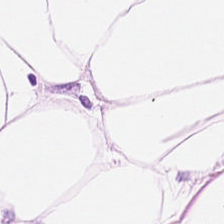Stain: H&E stain.
Tissue type: adipose.
